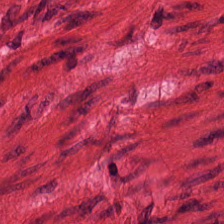H&E stain — {"tissue_type": "muscularis"}
